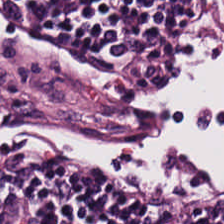H&E-stained tissue section.
Q: Identify the tissue.
A: This is lymphocytic infiltrate.
